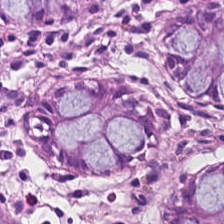Stain: hematoxylin and eosin.
Tissue: non-neoplastic colon mucosa.
